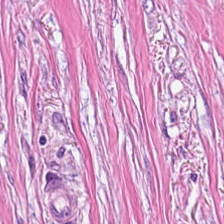H&E-stained tissue section. Q: What is the predominant tissue type?
A: This is desmoplastic stroma.
